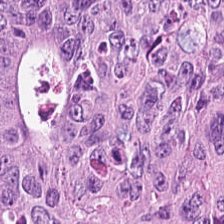Stain: hematoxylin and eosin.
Tile size: 224×224 px tile.
Predominant tissue: colorectal adenocarcinoma.
